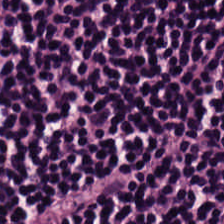H&E.
Lymphocytes.
